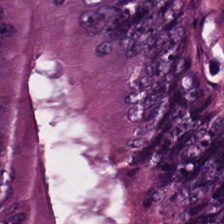H&E. Whole-slide-image patch — Impression → adenocarcinoma.
